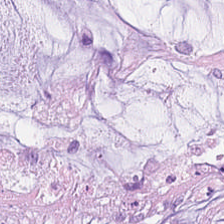The predominant tissue is extracellular mucin.
